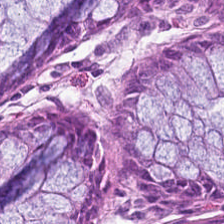0.5 µm/px; H&E — Impression → benign colonic mucosa.
